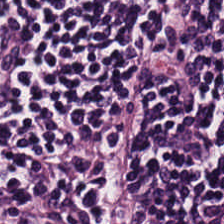Brightfield microscopy; H&E stain. The tissue here is lymphocytes.
